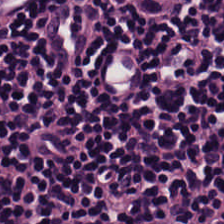Hematoxylin-and-eosin stained section. This field is lymphocytes.
